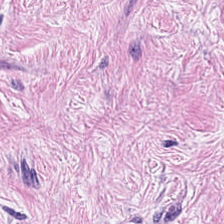Hematoxylin and eosin — Q: What is shown here?
A: This is cancer-associated stroma.
